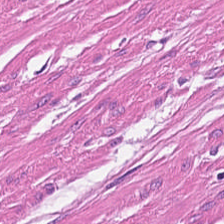Hematoxylin-and-eosin stained section. Whole-slide-image patch — Muscularis.
